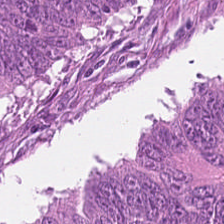Q: What does this patch show?
A: This is colorectal adenocarcinoma.
